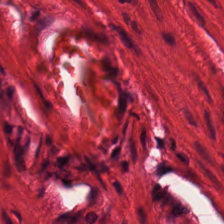Stain: hematoxylin-and-eosin stained section.
Predominant tissue: smooth-muscle tissue.
